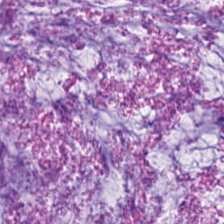{"tissue_type": "mucin"}
